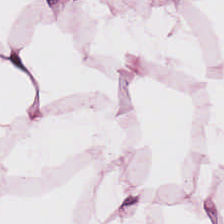The classification is adipose.
